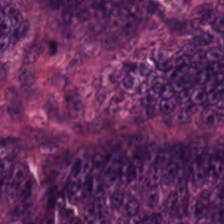Hematoxylin and eosin.
This field is adenocarcinoma.
